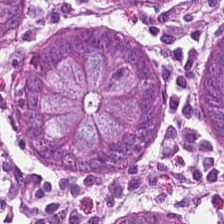Predominant tissue = benign colonic mucosa.
